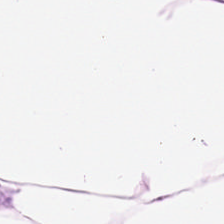H&E-stained tissue section. The predominant tissue is adipocytes.
